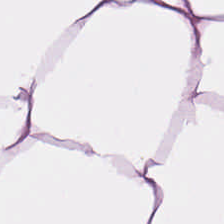This field is adipose.
